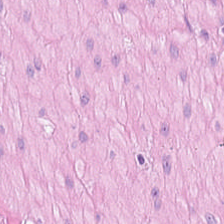20× equivalent magnification · hematoxylin-and-eosin stained section. Q: What is shown in this field?
A: The field shows muscularis.
